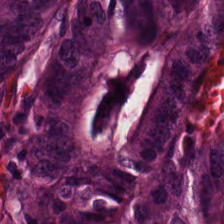H&E; FFPE. Classification = adenocarcinoma.
